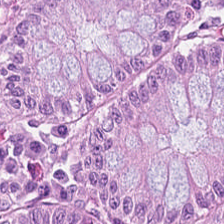Hematoxylin and eosin. Whole-slide-image patch.
Q: What is shown here?
A: It is normal colonic mucosa.
